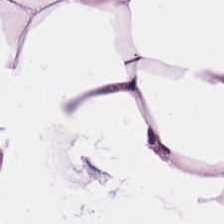H&E-stained section; the field shows adipose tissue.
